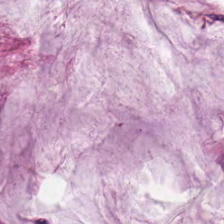20× equivalent magnification. Hematoxylin and eosin. Mucus.
